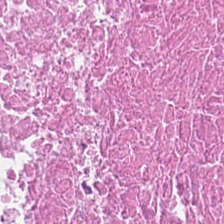H&E stain — Impression — necrotic debris.
